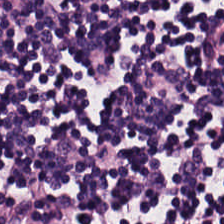Formalin-fixed paraffin-embedded section · 224×224 px tile · H&E stain. Tissue type — lymphocyte aggregate.
